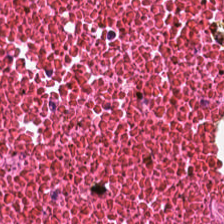Hematoxylin and eosin. Impression — cellular debris.
